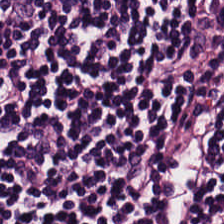Hematoxylin-and-eosin stained section. WSI patch. 0.5 microns per pixel. This field is lymphocyte aggregate.
